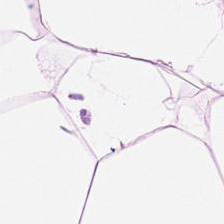0.5 µm per pixel; hematoxylin-and-eosin stained section; formalin-fixed paraffin-embedded section — Finding → adipocytes.
